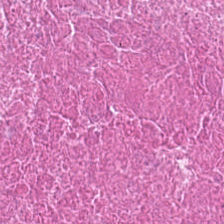H&E stain.
Q: What tissue type is shown here?
A: Necrotic debris.
